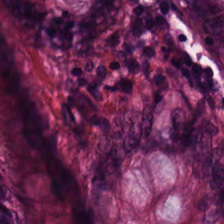This patch shows non-neoplastic colon mucosa.
